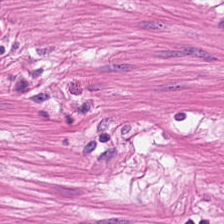H&E-stained tissue section.
Q: What tissue type is shown here?
A: The field shows smooth muscle.
